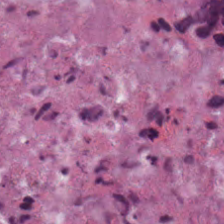Tissue = debris.
